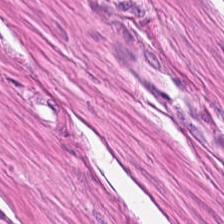Hematoxylin and eosin.
{"tissue_type": "smooth muscle"}
